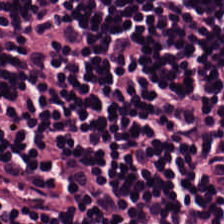WSI patch; 0.5 µm/px; H&E-stained tissue section.
Tissue type: lymphoid infiltrate.
